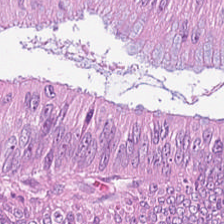224×224 px patch. H&E — Tissue: colorectal adenocarcinoma epithelium.
